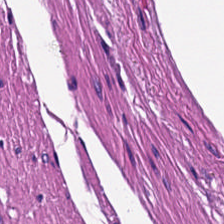Showing smooth muscle.
